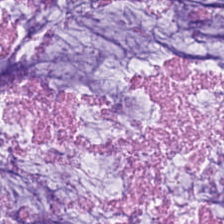Hematoxylin and eosin — Q: What tissue is shown?
A: Extracellular mucin.
